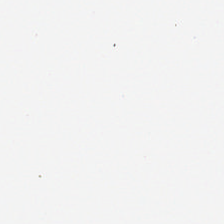Hematoxylin-and-eosin stained section.
Content: background.
